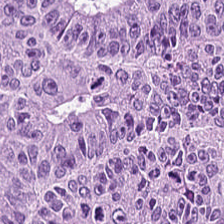H&E.
Q: What is shown here?
A: It is colorectal adenocarcinoma.
